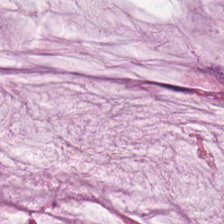Hematoxylin-and-eosin stained section. 20× equivalent magnification — Predominantly extracellular mucin.
